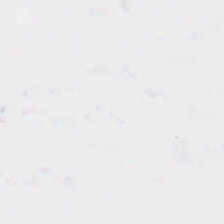Stain: hematoxylin-and-eosin stained section.
Resolution: 0.5 µm/px.
Content: no tissue.
